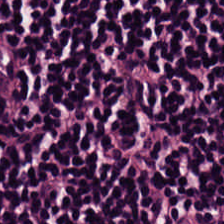Tissue type — lymphoid infiltrate.
